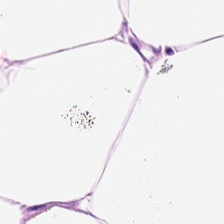Hematoxylin-and-eosin stained section; 0.5 µm per pixel — Adipose.
